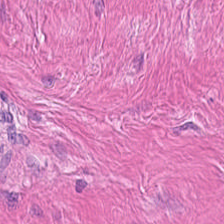FFPE · 224×224 pixel tile · H&E-stained tissue section — Predominantly smooth-muscle tissue.
